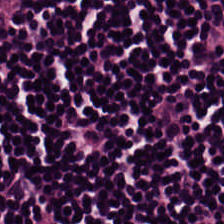WSI patch. Hematoxylin and eosin.
The predominant tissue is lymphocytes.
